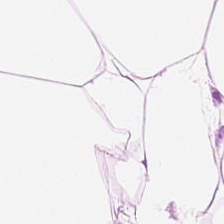Hematoxylin and eosin; 224×224 px patch.
Q: What is shown here?
A: It is adipose.
